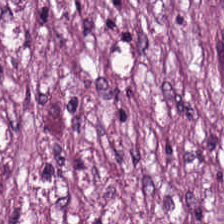Predominant tissue = desmoplastic stroma.
